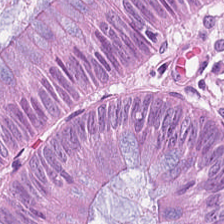Tissue type — colorectal adenocarcinoma epithelium.
